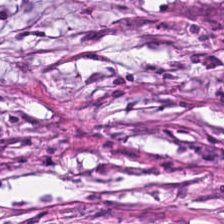Hematoxylin-and-eosin stained section.
The tissue here is desmoplastic stroma.
